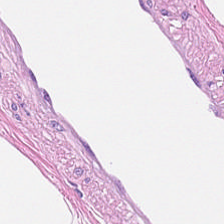Stain: H&E.
Predominant tissue: adipocytes.
